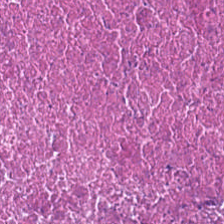{"tissue_type": "necrotic debris"}
